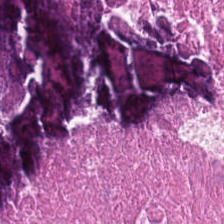224×224 pixel tile. Hematoxylin-and-eosin stained section. WSI patch.
Histology — necrotic debris.
